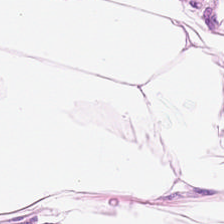H&E-stained tissue section — Predominantly adipocytes.
